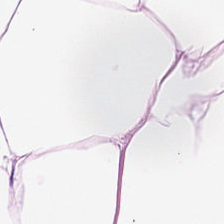H&E-stained tissue section; FFPE tissue section — This patch shows adipocytes.
